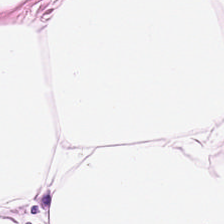Stain: hematoxylin and eosin.
Tissue type: adipocytes.
